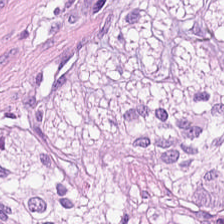H&E. Tissue: smooth-muscle tissue.
